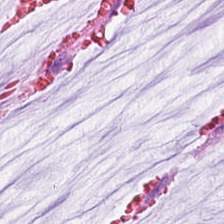Showing extracellular mucin.
